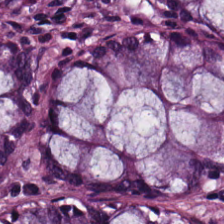Impression → benign colonic mucosa.
